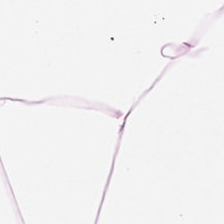Stain: H&E.
Classification: adipose.
